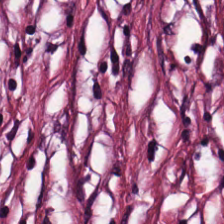Hematoxylin-and-eosin stained section.
Tissue type = desmoplastic stroma.
